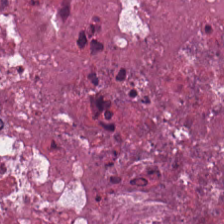H&E stain.
Predominantly necrotic debris.
